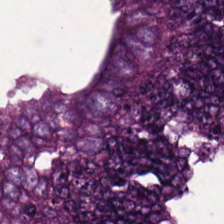H&E stain.
Tissue type = tumor epithelium.
